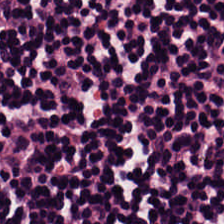FFPE; hematoxylin and eosin.
This patch shows lymphocytes.
